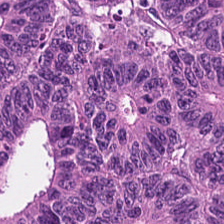H&E stain — The predominant tissue is tumor epithelium.
